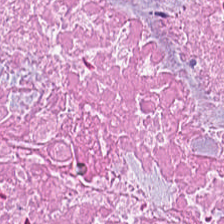Q: What does this patch show?
A: This is necrotic debris.
